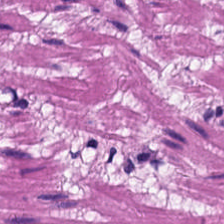0.5 µm/px · hematoxylin and eosin. Muscularis.
